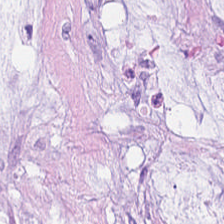Hematoxylin and eosin.
The predominant tissue is mucus.
